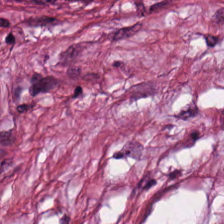Tissue type — cancer-associated stroma.
